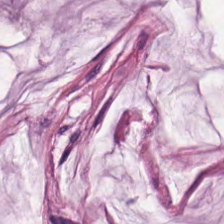Q: What is shown here?
A: Extracellular mucin.
